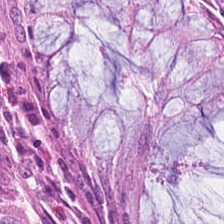224×224 px tile; brightfield; H&E-stained tissue section. The tissue here is benign colonic mucosa.
